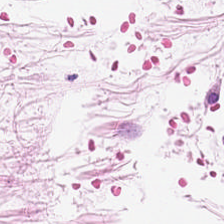224×224 pixel tile; H&E — Q: What is the predominant tissue type?
A: It is adipocytes.
